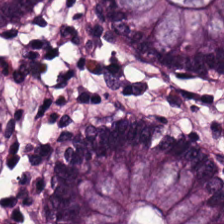Q: What is shown here?
A: Normal colonic mucosa.
